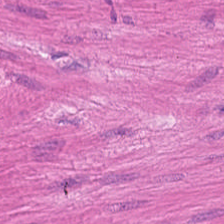Hematoxylin and eosin — Tissue class — smooth muscle.
